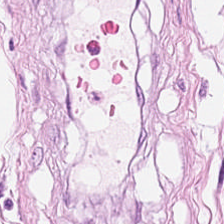Hematoxylin and eosin.
Impression — adipocytes.
